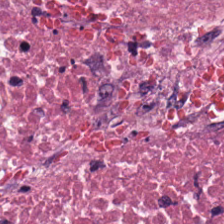Hematoxylin-and-eosin stained section — Impression — cellular debris.
